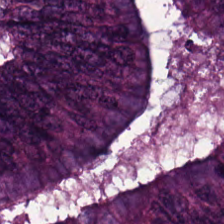H&E-stained tissue section showing colorectal adenocarcinoma epithelium.
